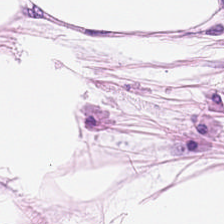224×224 pixel tile. H&E-stained tissue section. Finding — adipocytes.
